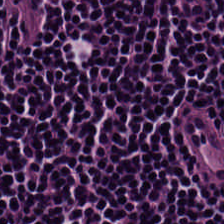Tissue type: lymphocyte aggregate.
